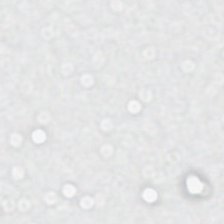H&E — Q: What is shown in this field?
A: This is no tissue.
